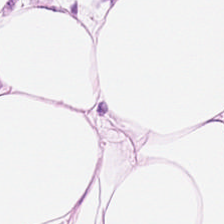Impression — adipose.
